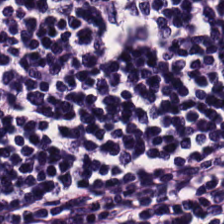Q: What is shown here?
A: This is lymphocyte aggregate.
